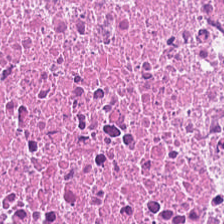Hematoxylin and eosin — Classification — necrotic debris.
